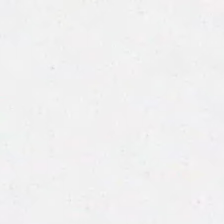This patch shows empty background.
